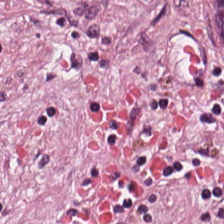Tissue class = desmoplastic stroma.
